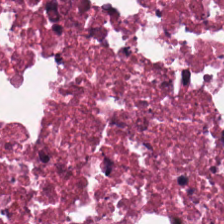Brightfield. Hematoxylin and eosin.
Debris.
